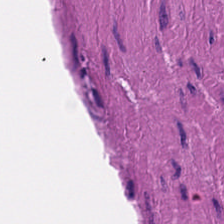The predominant tissue is smooth muscle.
